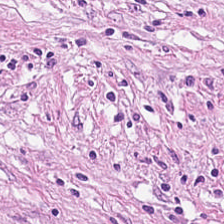Tumor stroma.
